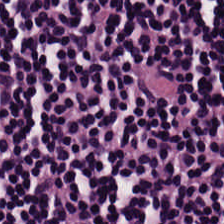Formalin-fixed paraffin-embedded section. H&E stain — Finding — lymphocyte aggregate.
